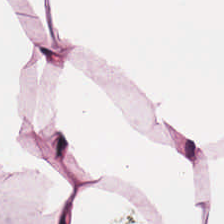Hematoxylin-and-eosin stained section.
Q: What does this patch show?
A: Fat tissue.
